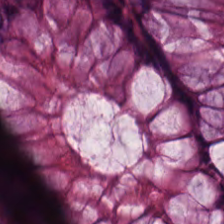Hematoxylin and eosin.
The predominant tissue is benign colonic mucosa.
